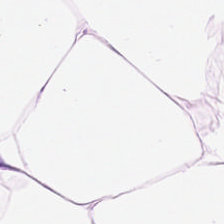The tissue class is adipocytes.
